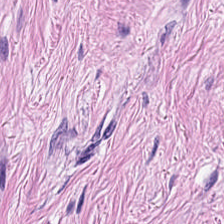Finding — cancer-associated stroma.
